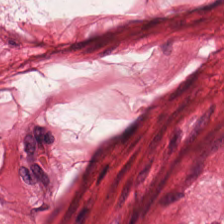Hematoxylin and eosin — Finding → muscularis.
